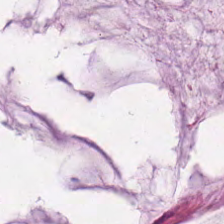H&E-stained tissue section · formalin-fixed paraffin-embedded section — Q: What does this patch show?
A: This is extracellular mucin.
